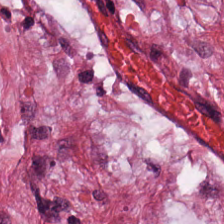Predominant tissue = desmoplastic stroma.
